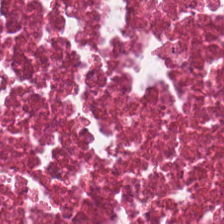H&E-stained tissue section. The predominant tissue is necrotic debris.
